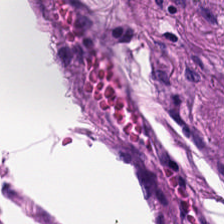H&E; brightfield — This field is smooth-muscle tissue.
